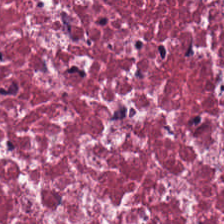Predominantly desmoplastic stroma.
